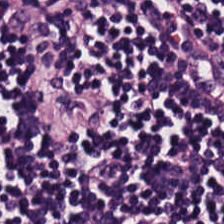224×224 px tile; hematoxylin-and-eosin stained section. Tissue: lymphoid infiltrate.
